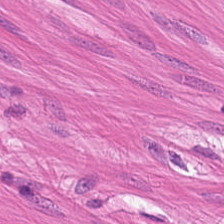Brightfield; H&E — This field is smooth-muscle tissue.
